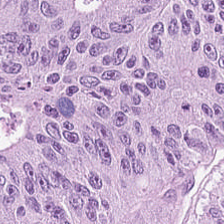H&E — The predominant tissue is colorectal adenocarcinoma epithelium.
